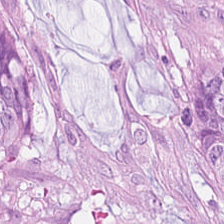Tissue type = malignant epithelium.
